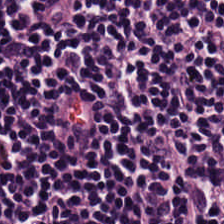0.5 µm per pixel · hematoxylin-and-eosin stained section — Lymphocyte aggregate.
